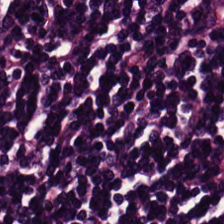Predominantly lymphocytic infiltrate.
